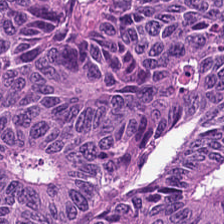H&E-stained tissue section. Finding → colorectal adenocarcinoma epithelium.
